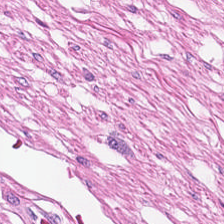H&E-stained tissue section · 224×224 pixel tile. Q: What tissue type is shown here?
A: This is smooth-muscle tissue.
